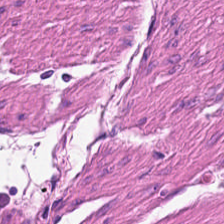H&E. The predominant tissue is muscularis.
